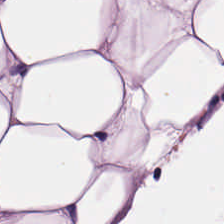Hematoxylin-and-eosin stained section — {"tissue_type": "adipocytes"}
